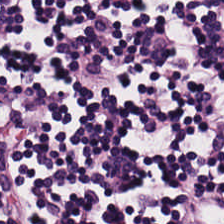H&E-stained tissue section — Tissue type — lymphocytes.
